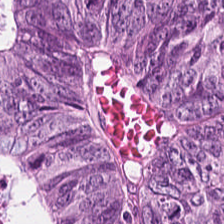H&E stain.
The tissue type is colorectal adenocarcinoma.
